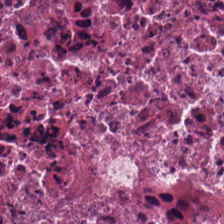224×224 pixel tile · FFPE · H&E stain.
Tissue class = cellular debris.
